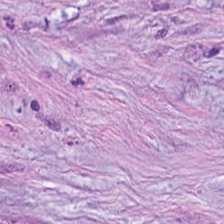0.5 µm/px · hematoxylin-and-eosin stained section — Finding — desmoplastic stroma.
